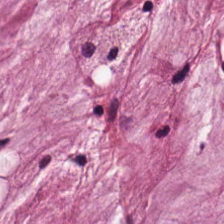H&E stain. Impression → mucus.
